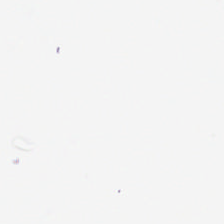Content: empty background.
